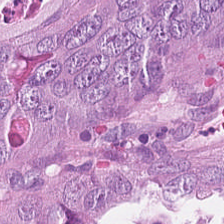H&E — The predominant tissue is tumor epithelium.
